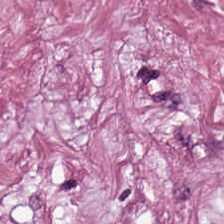FFPE tissue section · hematoxylin and eosin.
{"tissue_type": "tumor-associated stroma"}
